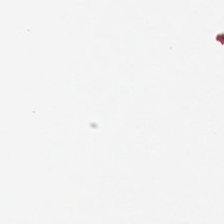Stain: H&E-stained tissue section.
Field content: background (no tissue).
